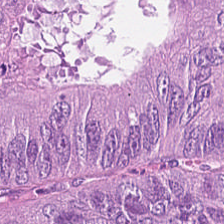Hematoxylin-and-eosin stained section. The predominant tissue is colorectal adenocarcinoma epithelium.
